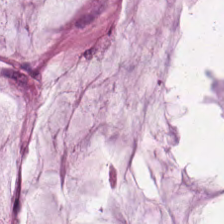H&E stain.
This patch shows mucin.
